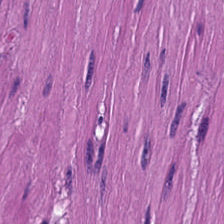Formalin-fixed paraffin-embedded section; brightfield microscopy; hematoxylin and eosin — Tissue — smooth-muscle tissue.
